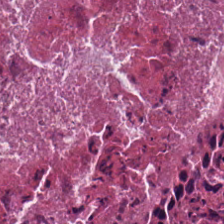Q: What type of tissue is this?
A: Necrotic debris.
